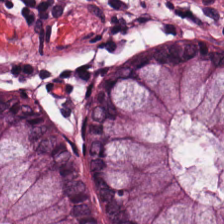20× equivalent magnification · hematoxylin-and-eosin stained section · 224×224 px patch.
This patch shows benign colonic mucosa.
